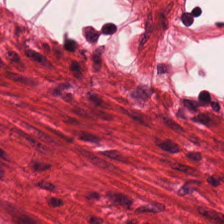Hematoxylin and eosin — This field is smooth muscle.
